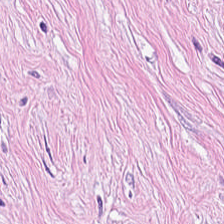Hematoxylin and eosin.
Tissue class = cancer-associated stroma.
